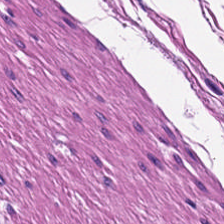This field is smooth muscle.
